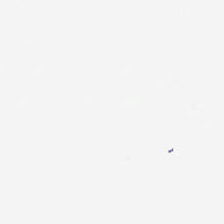H&E-stained tissue section. Finding — empty background.
